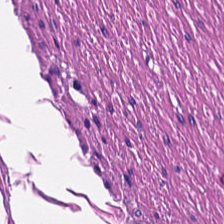Tissue — muscularis.
